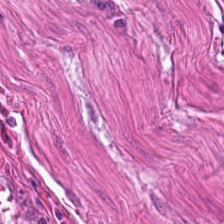H&E-stained tissue section showing smooth muscle.
